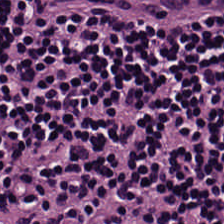H&E; 20× equivalent magnification; 224×224 px tile. Q: What does this patch show?
A: It is lymphoid infiltrate.
